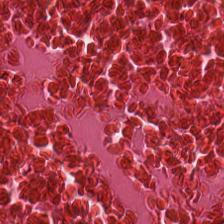Brightfield microscopy · H&E stain. The tissue here is necrotic debris.
